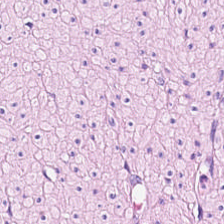H&E-stained tissue section; FFPE tissue section — Tissue type — muscularis.
